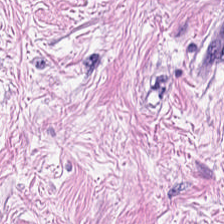H&E-stained tissue section; 20× equivalent magnification.
The tissue here is desmoplastic stroma.
